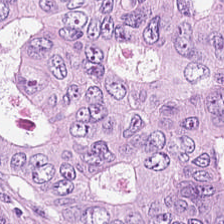Hematoxylin-and-eosin stained section — The tissue here is colorectal adenocarcinoma.
